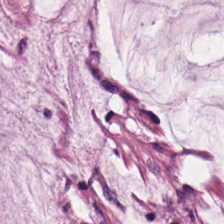Predominantly mucin.
